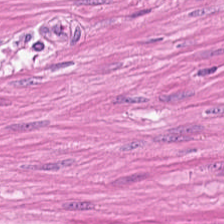Histology → smooth-muscle tissue.
